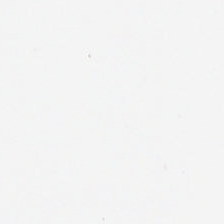0.5 µm/px · H&E.
{"content": "empty background"}
